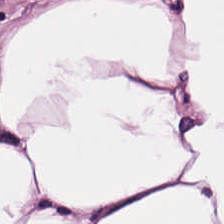H&E; whole-slide-image patch; FFPE — Q: What tissue type is shown here?
A: The field shows adipocytes.
